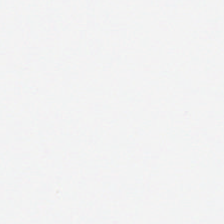Q: Classify this patch.
A: Background.
